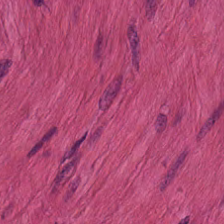224×224 px tile. Hematoxylin-and-eosin stained section. Impression — smooth muscle.
